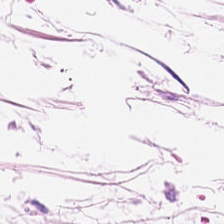H&E stain. Q: What does this patch show?
A: It is adipose tissue.
